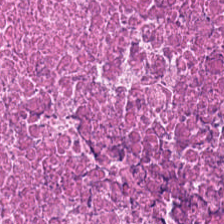Formalin-fixed paraffin-embedded section · hematoxylin-and-eosin stained section · whole-slide-image patch.
Tissue = necrotic debris.
